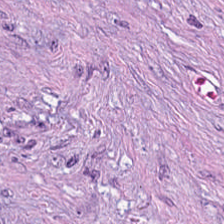H&E-stained section; the field shows tumor stroma.
